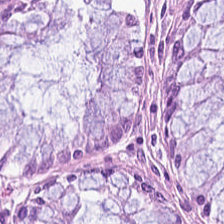H&E. Brightfield microscopy. 0.5 µm/px.
The tissue here is benign colonic mucosa.
